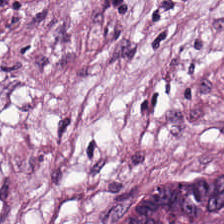Stain: H&E-stained tissue section.
Tissue: tumor stroma.
